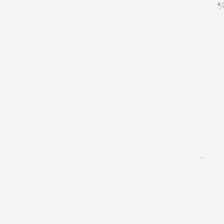Stain: hematoxylin-and-eosin stained section.
Field content: empty background.
